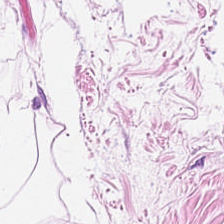Impression → adipocytes.
